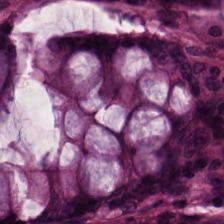Hematoxylin-and-eosin stained section — Q: What is shown in this field?
A: It is normal colonic mucosa.
